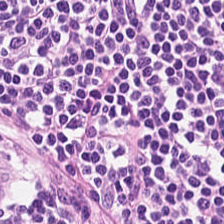H&E stain — Q: What tissue is shown?
A: The field shows lymphocyte aggregate.
